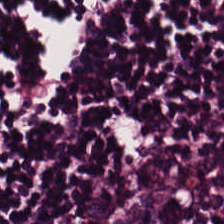{"tissue_type": "lymphocytes"}
